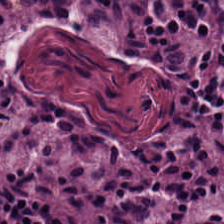Stain: H&E-stained tissue section.
Preparation: FFPE tissue section.
Tile size: 224×224 pixel tile.
Predominant tissue: lymphoid infiltrate.
